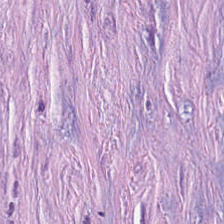0.5 µm per pixel. Hematoxylin-and-eosin stained section — Q: Classify this patch.
A: It is tumor-associated stroma.
